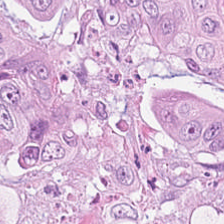This field is colorectal adenocarcinoma epithelium.
